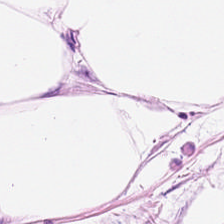0.5 µm/px; H&E-stained tissue section; brightfield microscopy.
Showing adipose tissue.
